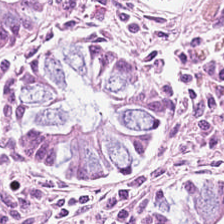Stain: H&E-stained tissue section.
Tissue class: benign colonic mucosa.
